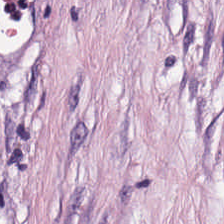Stain: H&E-stained tissue section.
Tissue type: cancer-associated stroma.
